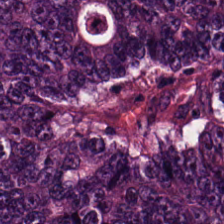H&E · brightfield. Showing adenocarcinoma.
